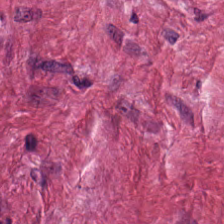H&E-stained tissue section. FFPE tissue section — Impression — cancer-associated stroma.
